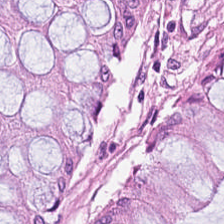H&E stain — Tissue — non-neoplastic colon mucosa.
